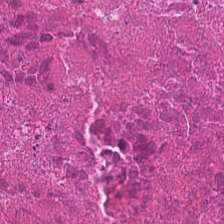H&E — cellular debris.
